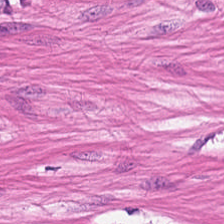H&E-stained tissue section. Predominantly smooth-muscle tissue.
